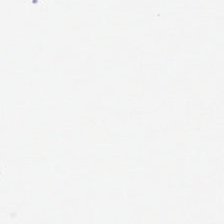Stain: H&E-stained tissue section.
Content: background (no tissue).
